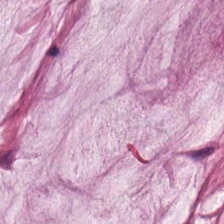Predominantly extracellular mucin.
